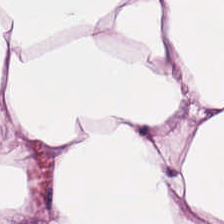Hematoxylin-and-eosin stained section; 20× equivalent magnification — Q: Identify the tissue.
A: It is adipocytes.
